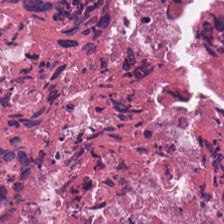Hematoxylin-and-eosin stained section — This patch shows debris.
